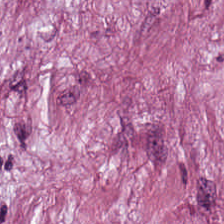Tissue class = desmoplastic stroma.
